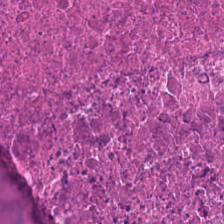H&E stain. Impression — cellular debris.
